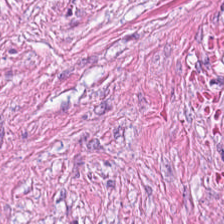H&E-stained tissue section; brightfield microscopy. Q: Classify this patch.
A: It is desmoplastic stroma.
